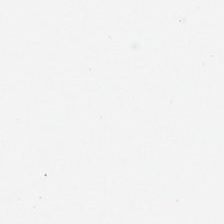Impression — background.
